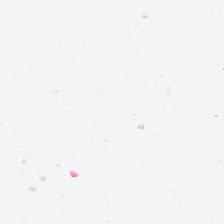FFPE tissue section · H&E-stained tissue section. Content: background.
